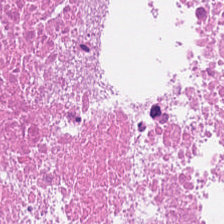Hematoxylin and eosin.
Impression — debris.
